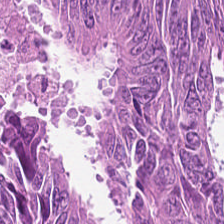FFPE; H&E-stained tissue section. The tissue here is malignant epithelium.
